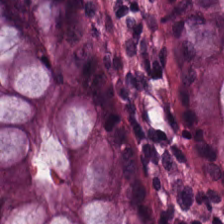H&E stain.
The tissue class is normal colonic mucosa.
